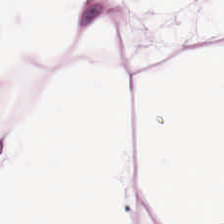Hematoxylin and eosin — Q: Classify this patch.
A: It is adipocytes.
